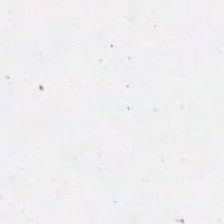0.5 microns per pixel; H&E-stained tissue section; FFPE — This patch shows empty background.
